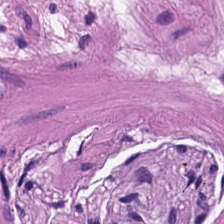Stain: hematoxylin and eosin.
Tissue class: smooth-muscle tissue.
